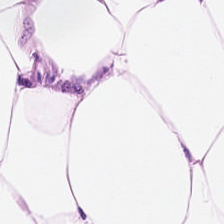0.5 µm/px; H&E-stained tissue section; formalin-fixed paraffin-embedded section.
Q: What does this patch show?
A: It is adipose tissue.
